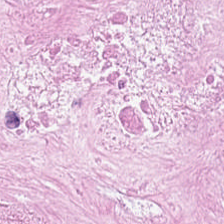Stain: hematoxylin and eosin.
Classification: debris.
